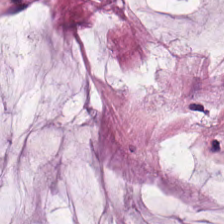Hematoxylin-and-eosin stained section · brightfield. The predominant tissue is mucus.
